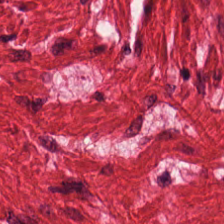Hematoxylin and eosin; formalin-fixed paraffin-embedded section.
Q: What is the predominant tissue type?
A: This is smooth-muscle tissue.
